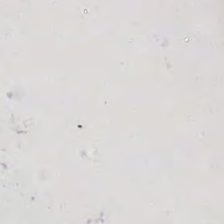H&E-stained tissue section.
Field content: empty background.
